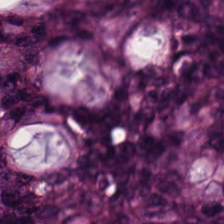224×224 px patch · H&E stain. Malignant epithelium.
